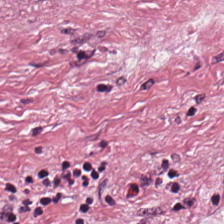Q: What is shown in this field?
A: It is tumor-associated stroma.
